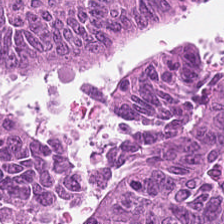Whole-slide-image patch · H&E stain. The tissue here is colorectal adenocarcinoma epithelium.
